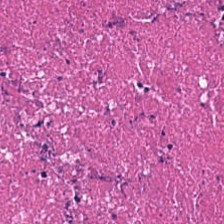This field is cellular debris.
